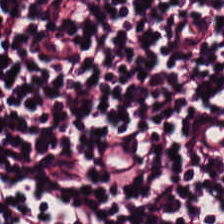H&E-stained tissue section showing lymphocytic infiltrate.
